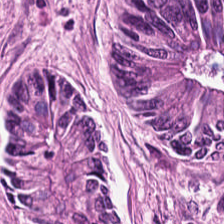224×224 px tile. H&E-stained tissue section.
Q: Classify this patch.
A: Colorectal adenocarcinoma.
